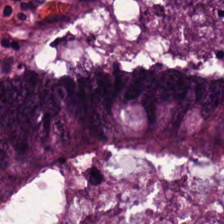H&E stain. {"tissue_type": "colorectal adenocarcinoma"}
